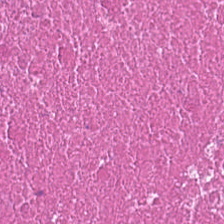Tissue = necrotic debris.
